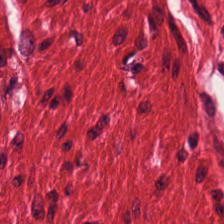Hematoxylin and eosin. This patch shows muscularis.
